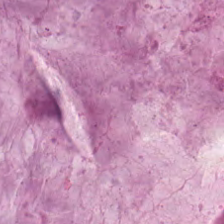The tissue class is mucus.
